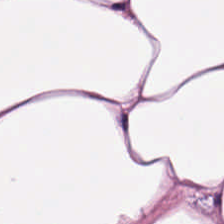Hematoxylin-and-eosin stained section.
Finding → fat tissue.
